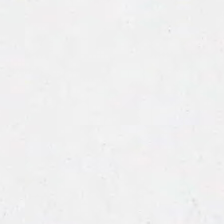H&E stain. 0.5 microns per pixel. 224×224 px tile. Empty field — no tissue.
